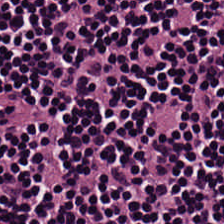H&E stain — The tissue type is lymphocyte aggregate.
